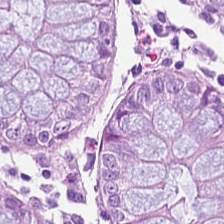H&E; FFPE. Tissue type = non-neoplastic colon mucosa.
